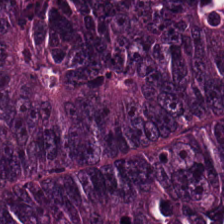0.5 µm/px. H&E-stained tissue section — {"tissue_type": "adenocarcinoma"}
